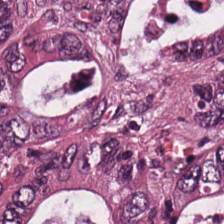H&E. Tissue type: colorectal adenocarcinoma epithelium.
